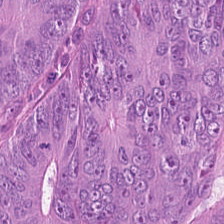The tissue here is malignant epithelium.
